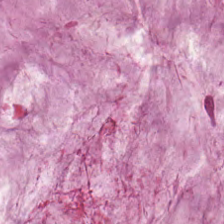This field is extracellular mucin.
